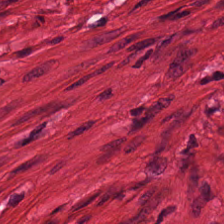H&E — The tissue here is smooth muscle.
